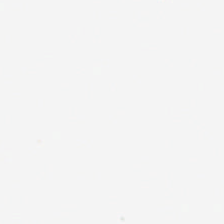Content = no tissue.
